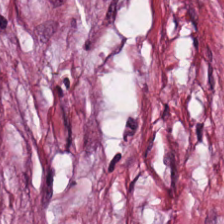Hematoxylin and eosin. The tissue here is desmoplastic stroma.
